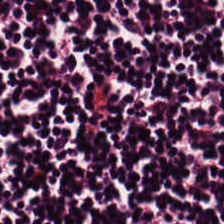H&E-stained tissue section. The predominant tissue is lymphocytic infiltrate.
